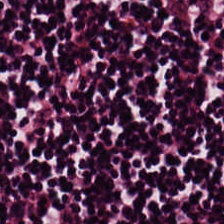Predominantly lymphocytes.
